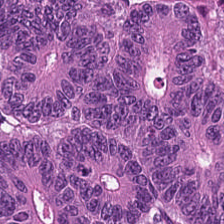0.5 microns per pixel · hematoxylin and eosin. Tissue class: colorectal adenocarcinoma epithelium.
